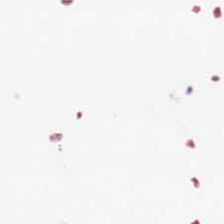H&E stain. Empty field — background.
